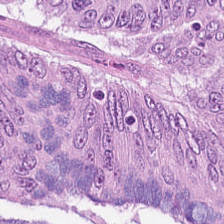Tissue: malignant epithelium.
